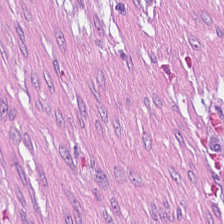H&E-stained tissue section — Histology — tumor stroma.
